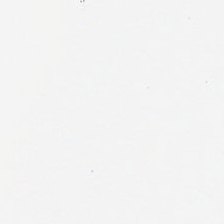This patch shows background (no tissue).
